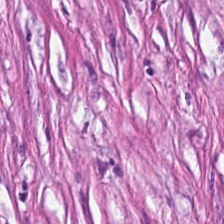Classification = tumor-associated stroma.
